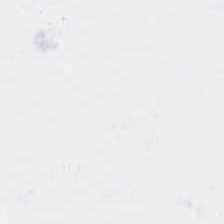This patch shows empty background.
